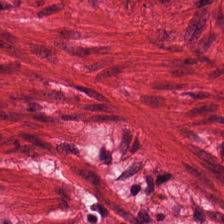Brightfield microscopy. H&E. FFPE tissue section. Classification = muscularis.
